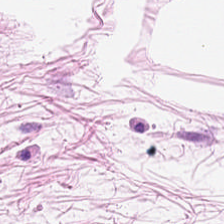H&E stain — Tissue type — adipose.
